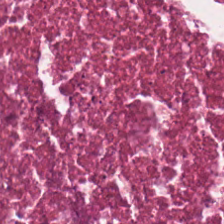Hematoxylin-and-eosin section: cellular debris.
